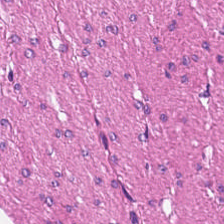H&E-stained tissue section · 224×224 px tile — Q: Classify this patch.
A: This is smooth-muscle tissue.
